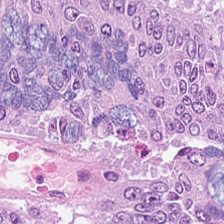Brightfield · FFPE tissue section · hematoxylin and eosin — Tissue class: colorectal adenocarcinoma epithelium.
